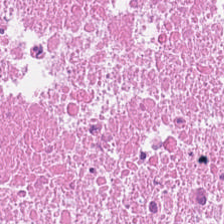224×224 pixel tile; hematoxylin-and-eosin stained section; formalin-fixed paraffin-embedded section.
Tissue = debris.
